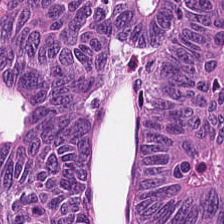H&E.
Classification: tumor epithelium.
